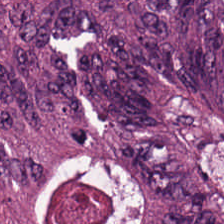Q: What tissue type is shown here?
A: This is colorectal adenocarcinoma epithelium.
